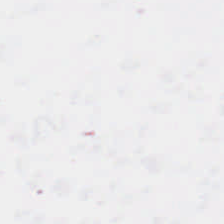No tissue present; background only.
